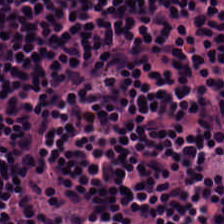H&E-stained tissue section — Impression — lymphocytes.
